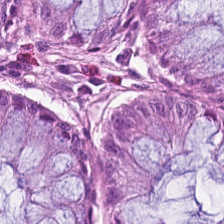H&E stain; FFPE; 0.5 microns per pixel. Tissue: normal colon mucosa.
